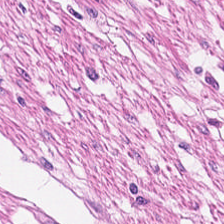Hematoxylin and eosin; FFPE.
This field is smooth-muscle tissue.
